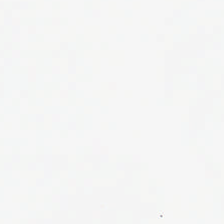224×224 px tile. H&E stain. Whole-slide-image patch — Empty background.
